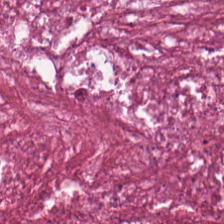Stain: hematoxylin-and-eosin stained section.
Tissue type: necrotic debris.
